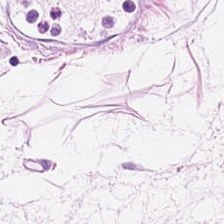Hematoxylin-and-eosin stained section — Tissue class — fat tissue.
